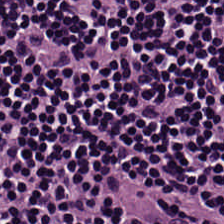H&E — lymphoid infiltrate.
